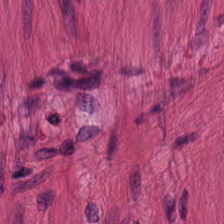H&E patch showing smooth muscle.
